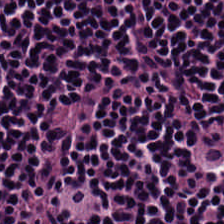Predominant tissue: lymphocytes.
